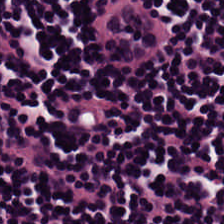H&E. Q: What does this patch show?
A: This is lymphoid infiltrate.
